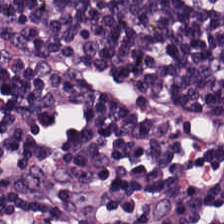H&E stain · 224×224 px patch.
This field is lymphocytes.
